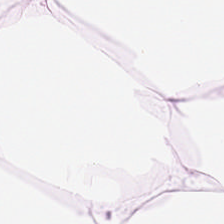Hematoxylin-and-eosin stained section — Predominant tissue — adipocytes.
